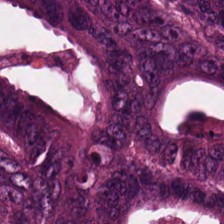Stain: H&E.
Tile size: 224×224 pixel tile.
Tissue class: malignant epithelium.
